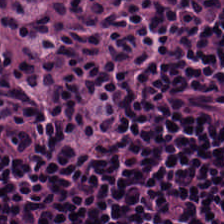The predominant tissue is lymphocyte aggregate.
